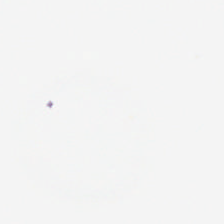Hematoxylin and eosin. {"content": "empty background"}
